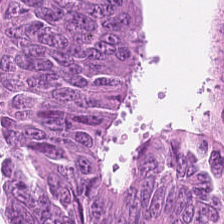H&E — This patch shows tumor epithelium.
